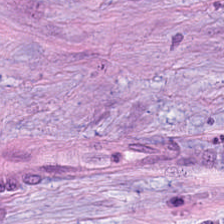224×224 px tile; brightfield microscopy; hematoxylin-and-eosin stained section — Finding → tumor-associated stroma.
